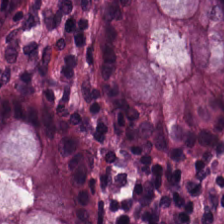Hematoxylin-and-eosin stained section. Normal colonic mucosa.
